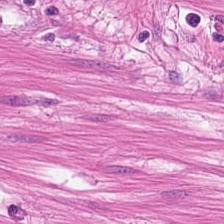Formalin-fixed paraffin-embedded section. H&E — Q: Identify the tissue.
A: This is smooth-muscle tissue.
